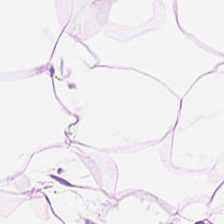H&E stain. The tissue type is adipose tissue.
